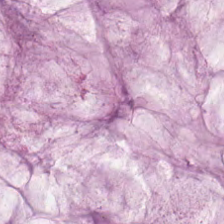Hematoxylin and eosin.
Predominantly mucus.
